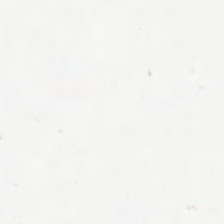This field is background (no tissue).
